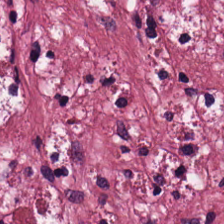0.5 microns per pixel. H&E. Whole-slide-image patch — Showing desmoplastic stroma.
